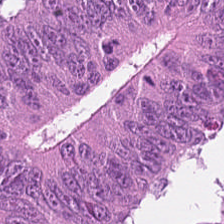Q: What tissue is shown?
A: The field shows adenocarcinoma.
